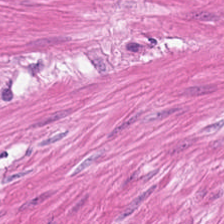H&E-stained tissue section.
The tissue is smooth-muscle tissue.
